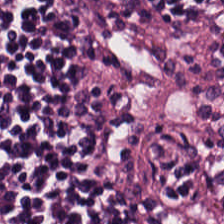Q: Classify this patch.
A: It is lymphoid infiltrate.
